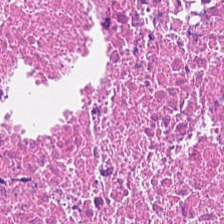Hematoxylin and eosin; whole-slide-image patch — Q: What tissue type is shown here?
A: This is cellular debris.
